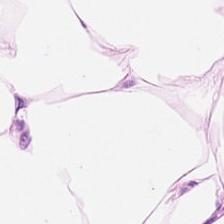FFPE. Hematoxylin-and-eosin stained section. 224×224 pixel tile — Tissue class: adipocytes.
